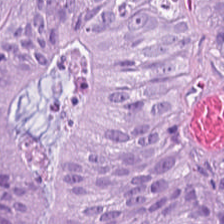Hematoxylin-and-eosin stained section; formalin-fixed paraffin-embedded section. Tissue: colorectal adenocarcinoma epithelium.
